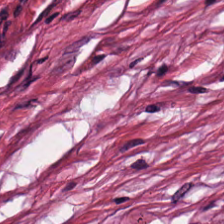H&E-stained tissue section.
The predominant tissue is tumor stroma.
